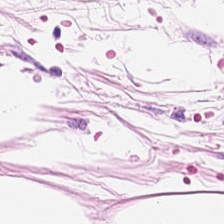H&E-stained tissue section.
Predominant tissue: fat tissue.
